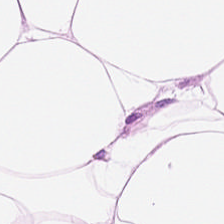Stain: hematoxylin-and-eosin stained section.
Tissue: adipose.
